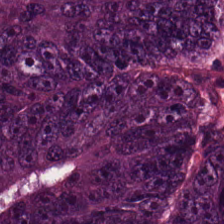The tissue here is colorectal adenocarcinoma.
